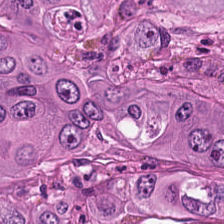H&E — This patch shows adenocarcinoma.
